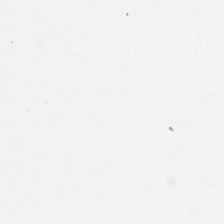H&E. Background — no tissue in this field.
